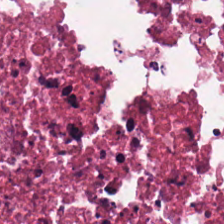The tissue here is debris.
